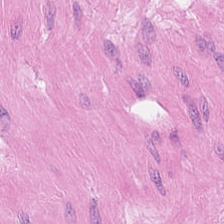Whole-slide-image patch · hematoxylin-and-eosin stained section. This field is smooth-muscle tissue.
